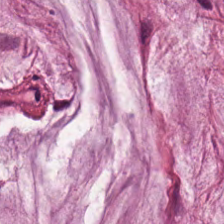Finding → mucin.
